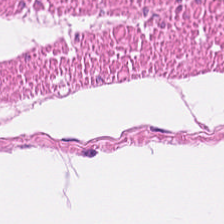WSI patch · 224×224 px tile · H&E stain. This patch shows muscularis.
